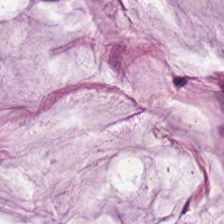H&E-stained tissue section showing extracellular mucin.
